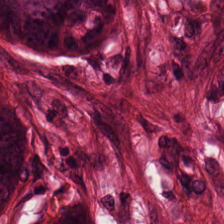Histology → adenocarcinoma.
